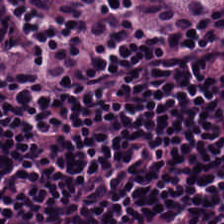H&E. Q: What tissue type is shown here?
A: Lymphocyte aggregate.
